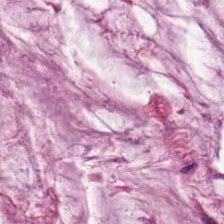H&E. Predominantly extracellular mucin.
